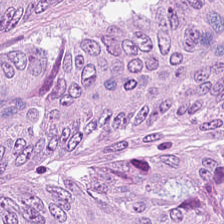H&E. {"tissue_type": "tumor epithelium"}
